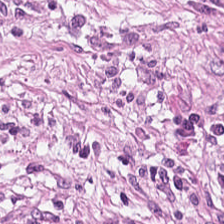Brightfield microscopy · hematoxylin and eosin. The tissue here is tumor-associated stroma.
